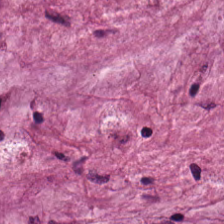Hematoxylin and eosin — This patch shows mucus.
